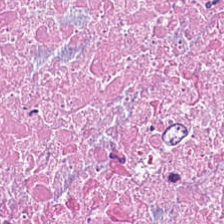Predominantly necrotic debris.
